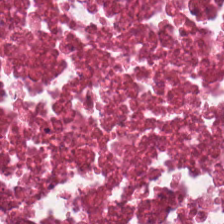H&E-stained tissue section.
Tissue = necrotic debris.
